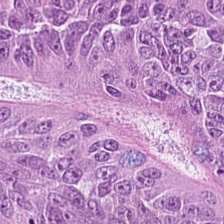Hematoxylin-and-eosin stained section — Q: What tissue is shown?
A: This is malignant epithelium.
